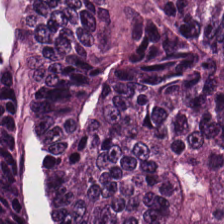H&E; 224×224 px patch; 0.5 µm per pixel — Q: Classify this patch.
A: It is adenocarcinoma.
